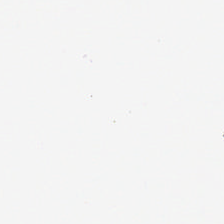Hematoxylin and eosin — {"content": "no tissue"}
